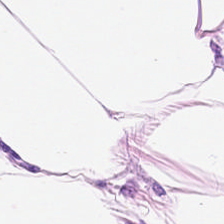Hematoxylin-and-eosin stained section; 224×224 px patch.
Tissue class — adipocytes.
